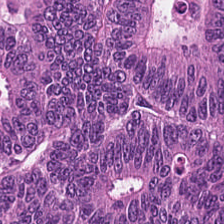The predominant tissue is adenocarcinoma.
